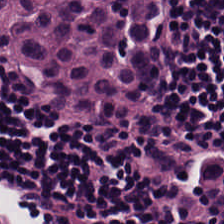H&E-stained tissue section. Q: What type of tissue is this?
A: The field shows lymphocytes.
